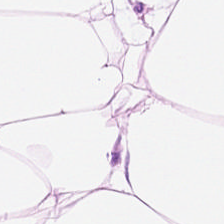Tissue class — adipocytes.
